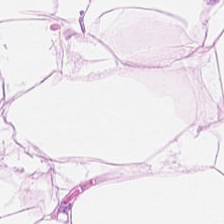H&E-stained tissue section. Adipose.
